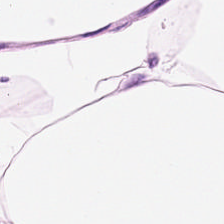Stain: H&E stain.
Tissue class: fat tissue.
